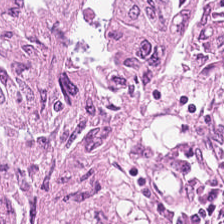H&E-stained tissue section.
Q: Identify the tissue.
A: It is tumor epithelium.
